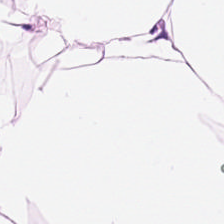H&E stain. 224×224 pixel tile.
Classification = fat tissue.
